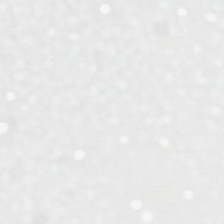Hematoxylin-and-eosin stained section — The content is empty background.
